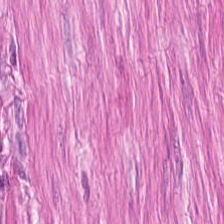Brightfield microscopy. Hematoxylin-and-eosin stained section. 0.5 µm/px.
{"tissue_type": "muscularis"}
